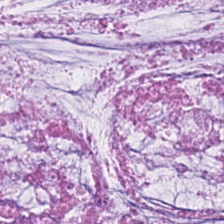Q: What is the predominant tissue type?
A: It is mucus.
